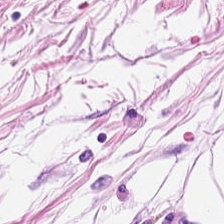Q: What is the predominant tissue type?
A: Fat tissue.
